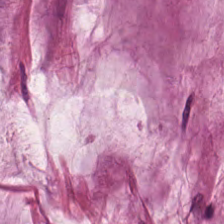Hematoxylin and eosin. FFPE tissue section.
Q: What tissue is shown?
A: The field shows mucus.
